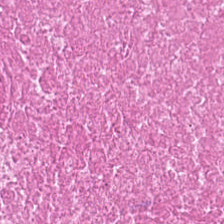H&E-stained tissue section. Tissue — cellular debris.
